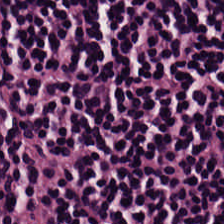Tissue type: lymphocytes.
